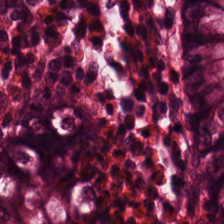Hematoxylin-and-eosin stained section — Q: What is the predominant tissue type?
A: Benign colonic mucosa.
